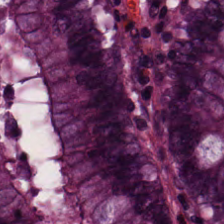H&E stain. Q: What is the predominant tissue type?
A: Normal colonic mucosa.
